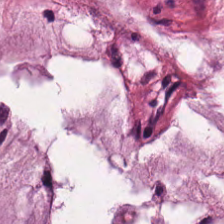Hematoxylin-and-eosin stained section — Classification — mucin.
